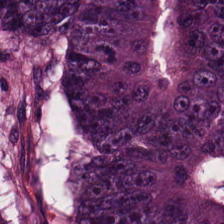H&E; 20× equivalent magnification. Q: Classify this patch.
A: This is tumor epithelium.
